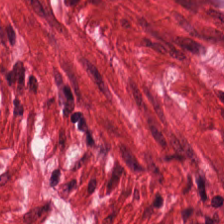H&E; 0.5 µm per pixel. This field is smooth muscle.
